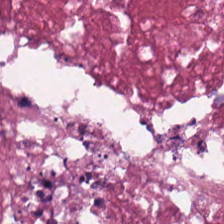224×224 px patch · H&E-stained tissue section.
Finding — cellular debris.
